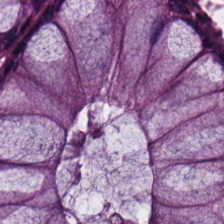Classification = non-neoplastic colon mucosa.
